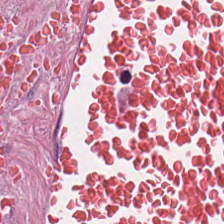Tissue class: cancer-associated stroma.
